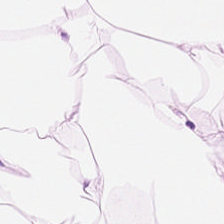Hematoxylin-and-eosin stained section — Q: What is shown in this field?
A: This is adipose.
